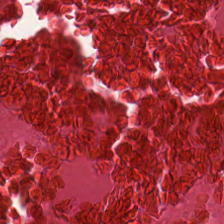H&E stain.
Tissue — cellular debris.
